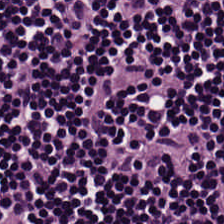Brightfield. H&E. Tissue — lymphocytic infiltrate.
